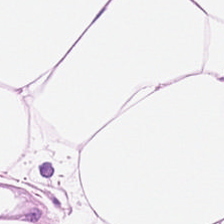H&E. Classification = adipose.
